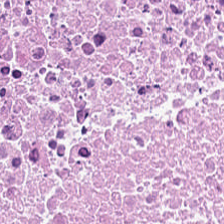H&E stain. Showing debris.
